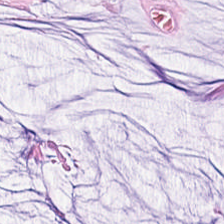Stain: H&E-stained tissue section.
Acquisition: brightfield microscopy.
Tissue type: mucin.
